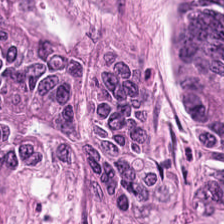The tissue here is malignant epithelium.
